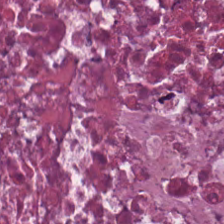Stain: hematoxylin-and-eosin stained section.
Tissue class: necrotic debris.
